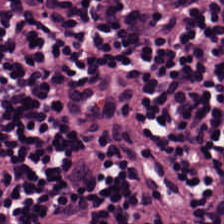Stain: hematoxylin-and-eosin stained section.
Acquisition: whole-slide-image patch.
Resolution: 0.5 µm per pixel.
Tissue: lymphocyte aggregate.
